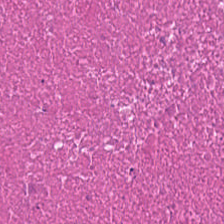The predominant tissue is debris.
